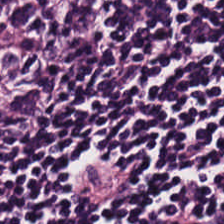Formalin-fixed paraffin-embedded section · H&E · 0.5 microns per pixel — {"tissue_type": "lymphocytic infiltrate"}
